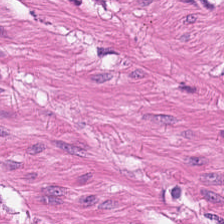H&E. Tissue type = muscularis.
